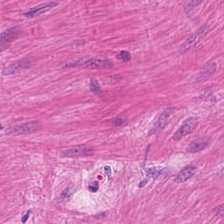H&E-stained tissue section showing muscularis.
